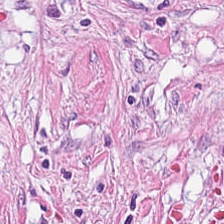H&E.
Tumor-associated stroma.
